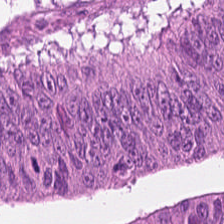H&E-stained tissue section.
This field is tumor epithelium.
